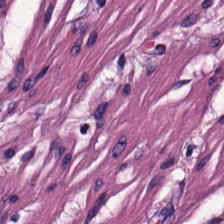H&E stain; brightfield — This patch shows smooth muscle.
